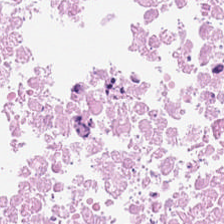H&E stain — Q: What is shown here?
A: It is necrotic debris.
